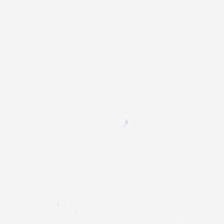Hematoxylin and eosin.
This patch shows background (no tissue).
